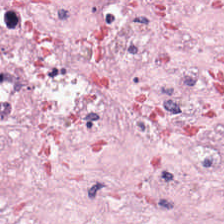Tissue: tumor-associated stroma.
